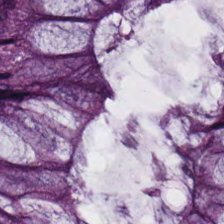Stain: hematoxylin-and-eosin stained section.
Resolution: 0.5 microns per pixel.
Preparation: formalin-fixed paraffin-embedded section.
Tissue type: normal colonic mucosa.
